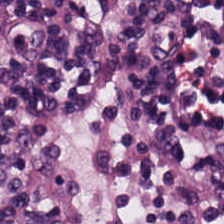224×224 px tile; H&E-stained tissue section.
Tissue — lymphocytic infiltrate.
